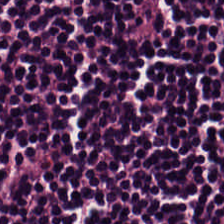H&E.
{"tissue_type": "lymphocytic infiltrate"}
